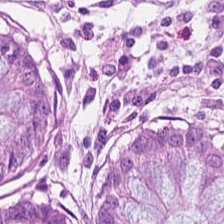FFPE; H&E-stained tissue section; 20× equivalent magnification — Q: What tissue type is shown here?
A: It is normal colon mucosa.
